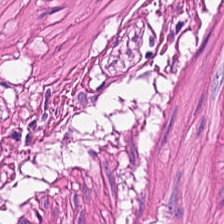0.5 µm/px · H&E-stained tissue section — Q: What tissue type is shown here?
A: The field shows smooth muscle.
